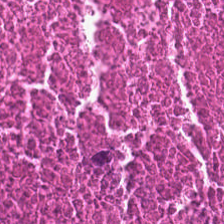H&E · whole-slide-image patch. Predominant tissue — cellular debris.
